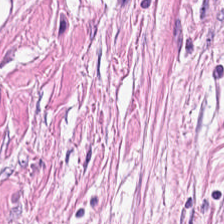H&E stain — The predominant tissue is tumor-associated stroma.
